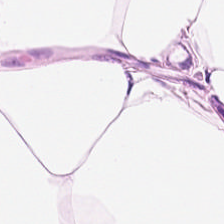H&E stain.
This patch shows adipose tissue.
